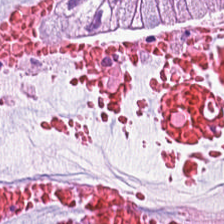Hematoxylin and eosin — This patch shows mucus.
